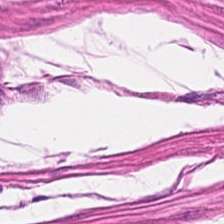FFPE. H&E-stained tissue section.
Predominantly smooth-muscle tissue.
